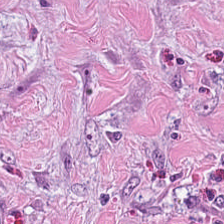H&E.
Tissue type: tumor-associated stroma.
